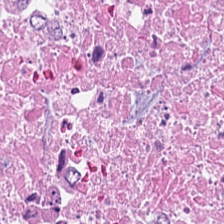Hematoxylin-and-eosin stained section — This patch shows debris.
